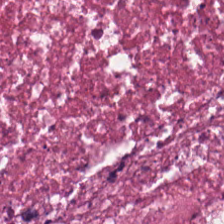Stain: H&E.
Classification: debris.
